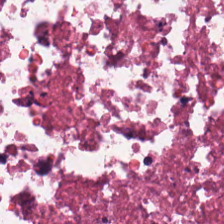H&E-stained tissue section. 0.5 microns per pixel.
Q: Identify the tissue.
A: This is debris.
